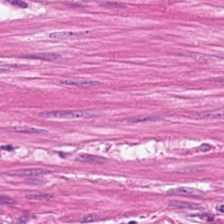WSI patch · hematoxylin-and-eosin stained section · formalin-fixed paraffin-embedded section — Q: What does this patch show?
A: It is smooth muscle.
